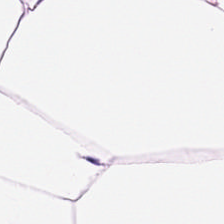H&E stain.
Classification = adipocytes.
